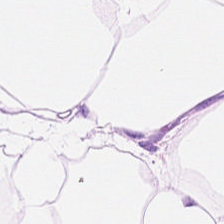Stain: H&E stain.
Acquisition: brightfield microscopy.
Classification: adipose tissue.
